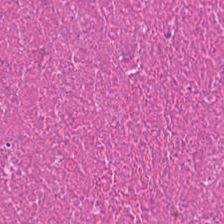H&E-stained tissue section — This patch shows debris.
